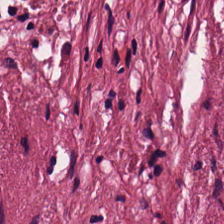The tissue is tumor-associated stroma.
